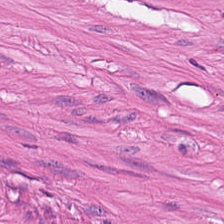H&E stain; 20× equivalent magnification. The tissue type is smooth-muscle tissue.
